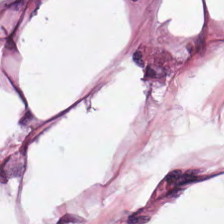H&E.
Q: What type of tissue is this?
A: This is adipocytes.
